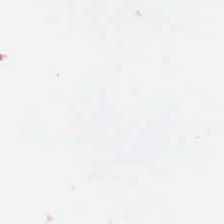Classification: no tissue.
